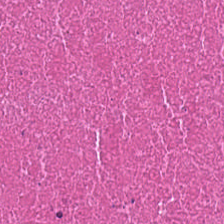H&E stain.
Classification = cellular debris.
